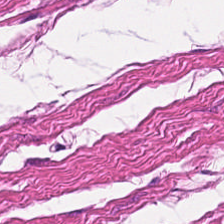Hematoxylin and eosin. Brightfield microscopy. Predominantly muscularis.
